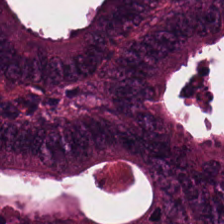H&E stain; FFPE — Q: Classify this patch.
A: It is malignant epithelium.
